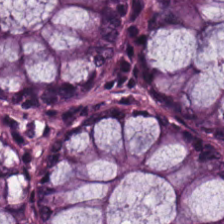H&E; formalin-fixed paraffin-embedded section; 0.5 µm per pixel. The tissue here is non-neoplastic colon mucosa.
